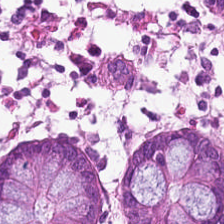Hematoxylin and eosin. Predominant tissue: normal colon mucosa.
